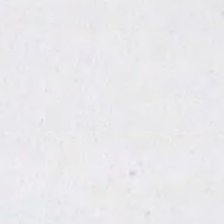Histology — background (no tissue).
